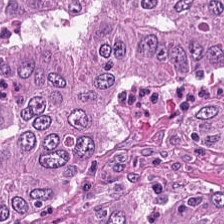Hematoxylin and eosin — The tissue is colorectal adenocarcinoma.
